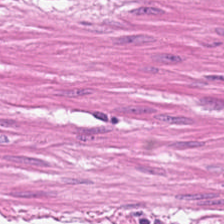Hematoxylin and eosin; 224×224 pixel tile; FFPE — Showing smooth-muscle tissue.
